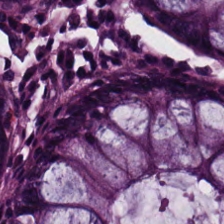Hematoxylin and eosin — Impression — benign colonic mucosa.
